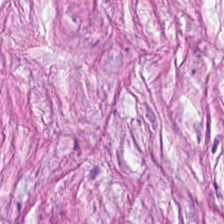Impression — tumor-associated stroma.
